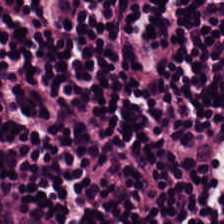H&E stain; 224×224 px patch. Q: What tissue is shown?
A: Lymphoid infiltrate.
